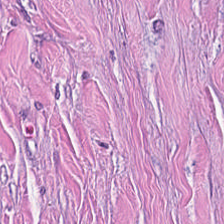Stain: H&E stain.
Tissue type: desmoplastic stroma.
